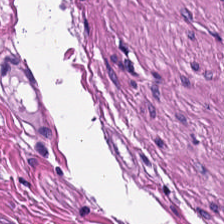Q: What type of tissue is this?
A: It is muscularis.
